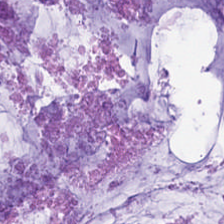Stain: hematoxylin and eosin.
Acquisition: brightfield microscopy.
Predominant tissue: mucin.
